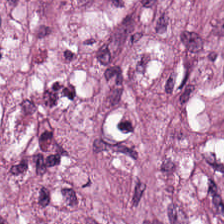224×224 px tile. Hematoxylin and eosin.
Desmoplastic stroma.
